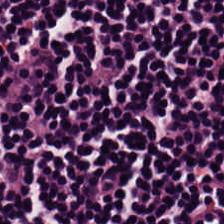H&E. The tissue here is lymphocytic infiltrate.
